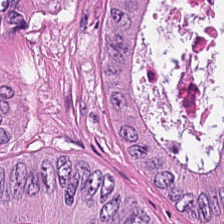H&E stain — Q: What tissue type is shown here?
A: The field shows tumor epithelium.
